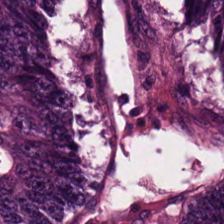224×224 pixel tile · formalin-fixed paraffin-embedded section · H&E-stained tissue section — {"tissue_type": "colorectal adenocarcinoma"}
